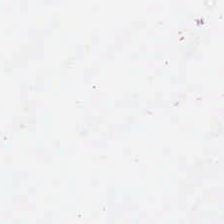H&E-stained tissue section. 20× equivalent magnification. Brightfield microscopy.
No tissue present; background only.
